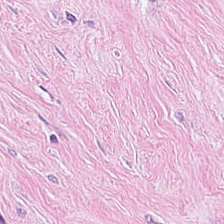H&E patch showing tumor stroma.
